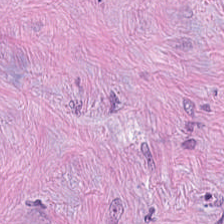Hematoxylin and eosin; brightfield microscopy. Showing cancer-associated stroma.
